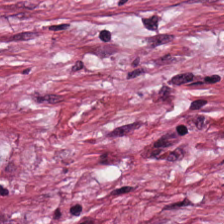The predominant tissue is tumor stroma.
